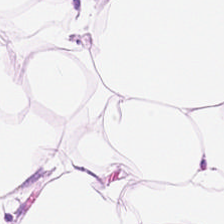Predominantly adipocytes.
